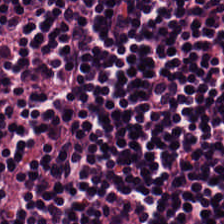Stain: hematoxylin-and-eosin stained section.
Preparation: formalin-fixed paraffin-embedded section.
Classification: lymphocytes.
